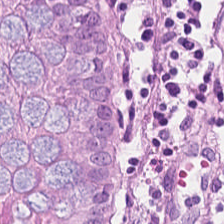Hematoxylin and eosin · formalin-fixed paraffin-embedded section — This field is benign colonic mucosa.
